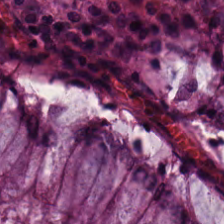Formalin-fixed paraffin-embedded section · H&E stain. Q: What tissue is shown?
A: It is benign colonic mucosa.
